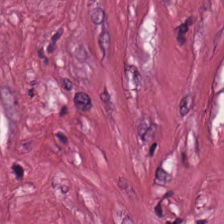224×224 pixel tile; WSI patch; H&E stain — {"tissue_type": "tumor stroma"}
